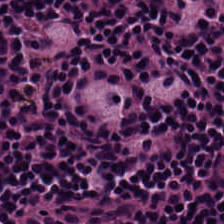Hematoxylin-and-eosin stained section — This field is lymphocytic infiltrate.
